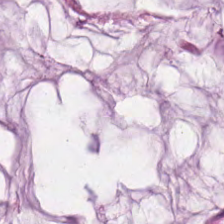FFPE tissue section; hematoxylin-and-eosin stained section — The tissue here is extracellular mucin.
